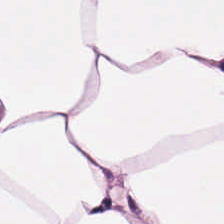H&E-stained tissue section. The tissue here is adipose.
